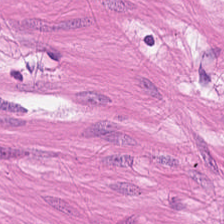Q: What is the predominant tissue type?
A: This is smooth-muscle tissue.
